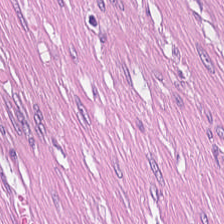H&E. Q: What tissue type is shown here?
A: This is desmoplastic stroma.
